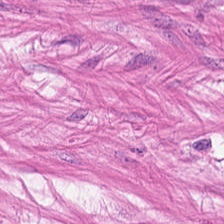Classification = smooth muscle.
